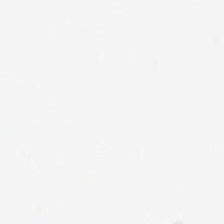Hematoxylin-and-eosin stained section. Whole-slide-image patch. FFPE. Q: What is shown here?
A: The field shows background.
